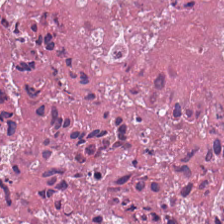Hematoxylin and eosin. Showing necrotic debris.
